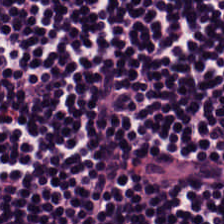224×224 pixel tile; H&E-stained tissue section — The predominant tissue is lymphocyte aggregate.
